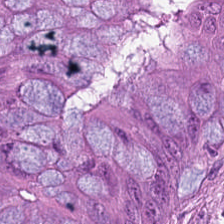0.5 µm/px; FFPE tissue section; H&E-stained tissue section. Q: Identify the tissue.
A: This is adenocarcinoma.
